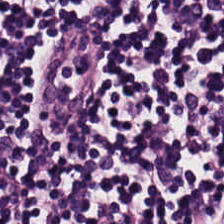Hematoxylin-and-eosin stained section.
Predominantly lymphoid infiltrate.
